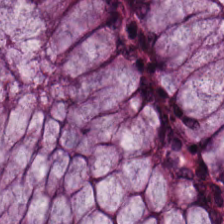Hematoxylin-and-eosin stained section · brightfield. The tissue here is normal colonic mucosa.
